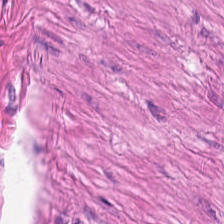H&E stain — Q: What type of tissue is this?
A: Muscularis.
